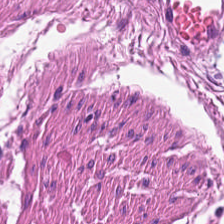The tissue here is smooth muscle.
